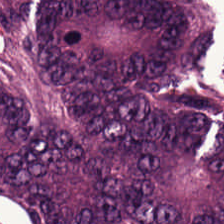H&E stain — The classification is colorectal adenocarcinoma.
